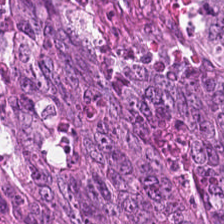Hematoxylin-and-eosin stained section; formalin-fixed paraffin-embedded section. Q: What tissue type is shown here?
A: The field shows colorectal adenocarcinoma.
